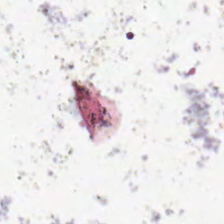Content: background (no tissue).
